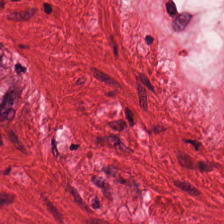Brightfield. H&E stain. Impression → muscularis.
